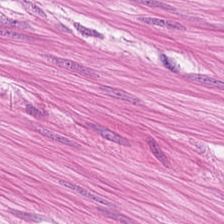Hematoxylin-and-eosin stained section — Q: What type of tissue is this?
A: This is smooth muscle.
